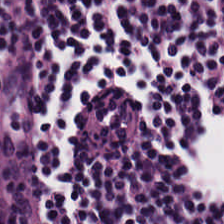H&E. {"tissue_type": "lymphocyte aggregate"}
